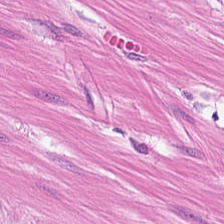0.5 µm per pixel; brightfield microscopy; H&E. The tissue here is smooth muscle.
